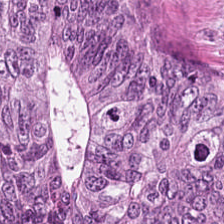H&E-stained tissue section — The predominant tissue is adenocarcinoma.
